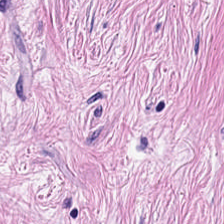H&E — desmoplastic stroma.
